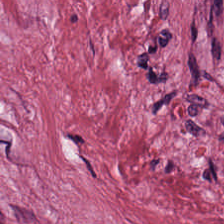Hematoxylin and eosin · 224×224 px tile · 20× equivalent magnification — Q: What tissue type is shown here?
A: Cancer-associated stroma.
